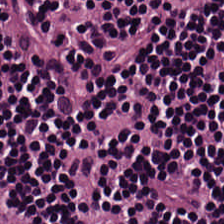Q: What is shown here?
A: Lymphocytic infiltrate.
